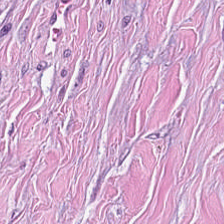Brightfield microscopy. Hematoxylin and eosin. Formalin-fixed paraffin-embedded section. Tumor stroma.
